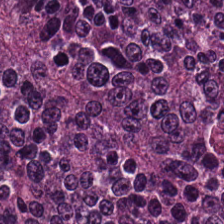224×224 px patch. H&E stain. WSI patch. Impression → malignant epithelium.
